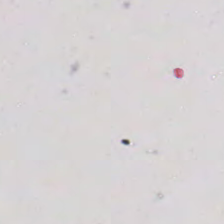Brightfield. 224×224 px patch. Hematoxylin-and-eosin stained section — Empty field — background.
